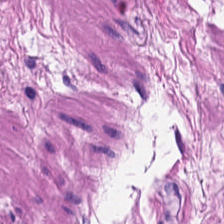FFPE tissue section; H&E; 0.5 microns per pixel — Predominant tissue = smooth-muscle tissue.
